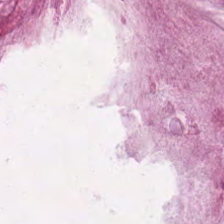Hematoxylin-and-eosin section: mucin.
